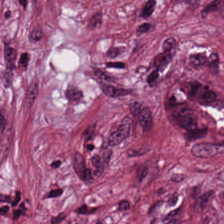H&E.
The tissue class is cancer-associated stroma.
